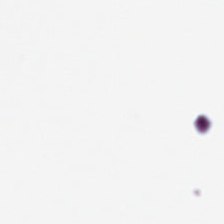0.5 µm/px. FFPE tissue section. H&E-stained tissue section. Classification — empty background.
